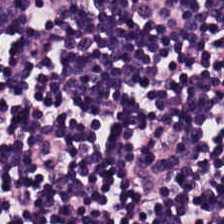Q: What is shown in this field?
A: This is lymphocytes.
